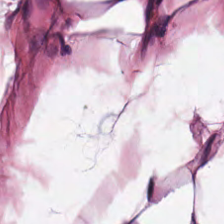H&E-stained tissue section · formalin-fixed paraffin-embedded section. Tissue type = adipose tissue.
